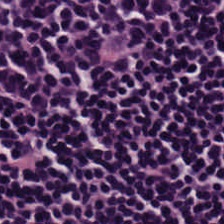Q: What type of tissue is this?
A: The field shows lymphocytes.
